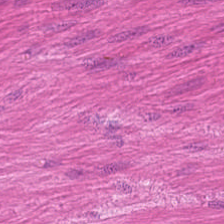Classification = muscularis.
